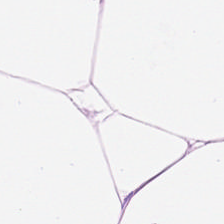Hematoxylin and eosin. 0.5 µm/px. {"tissue_type": "adipocytes"}
